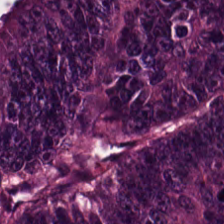Q: What is shown in this field?
A: This is colorectal adenocarcinoma.
